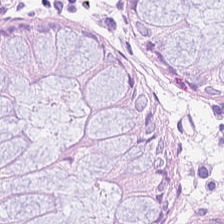Tissue type — normal colon mucosa.
